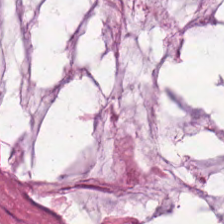Hematoxylin-and-eosin stained section. Brightfield. Formalin-fixed paraffin-embedded section.
Mucus.
